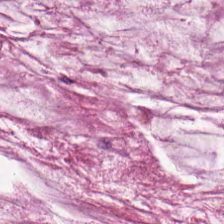H&E stain · formalin-fixed paraffin-embedded section.
Showing extracellular mucin.
